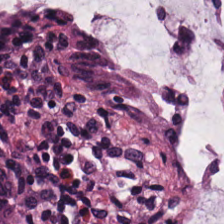H&E-stained tissue section. Classification: normal colon mucosa.
